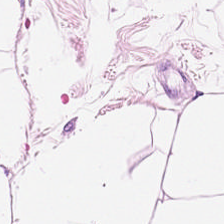Whole-slide-image patch. H&E — The predominant tissue is adipose.
